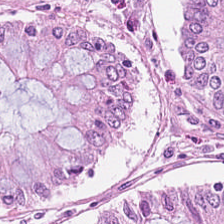0.5 microns per pixel; H&E-stained tissue section — The tissue here is benign colonic mucosa.
